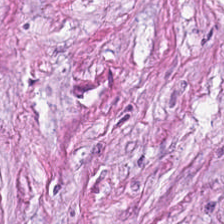H&E. Predominant tissue: desmoplastic stroma.
